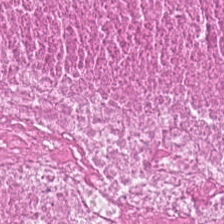224×224 px patch · hematoxylin and eosin · whole-slide-image patch — Histology — necrotic debris.
